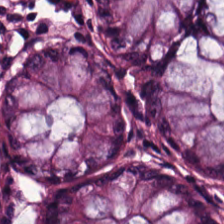Stain: H&E-stained tissue section.
Acquisition: brightfield.
Tissue type: normal colonic mucosa.
